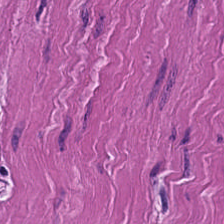Hematoxylin-and-eosin stained section. 0.5 microns per pixel. Showing muscularis.
